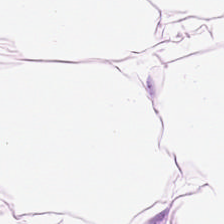0.5 µm per pixel; H&E — Histology → fat tissue.
